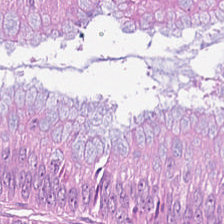Formalin-fixed paraffin-embedded section · H&E · 0.5 µm/px.
The predominant tissue is tumor epithelium.
